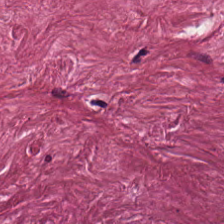Stain: H&E stain.
Predominant tissue: cancer-associated stroma.
